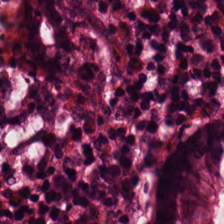0.5 µm per pixel. H&E-stained tissue section. Classification: normal colon mucosa.
